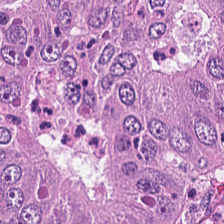H&E-stained tissue section — Q: Classify this patch.
A: Colorectal adenocarcinoma epithelium.
